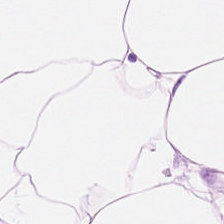H&E stain.
The tissue here is adipocytes.
